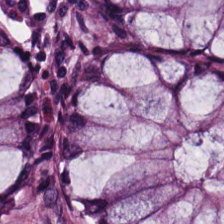Hematoxylin-and-eosin stained section — Q: What type of tissue is this?
A: Benign colonic mucosa.
